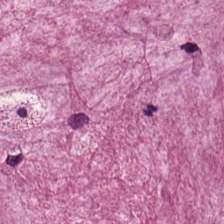Whole-slide-image patch · 224×224 px patch · hematoxylin-and-eosin stained section — Tissue: mucus.
